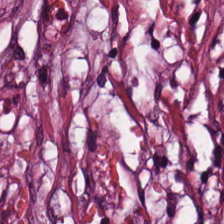Hematoxylin-and-eosin stained section.
The predominant tissue is tumor-associated stroma.
